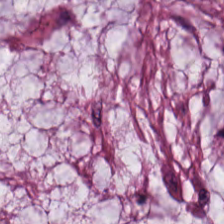Hematoxylin and eosin — Predominant tissue: mucin.
